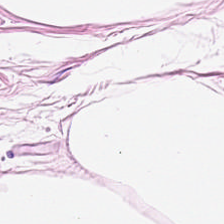H&E — adipose tissue.
